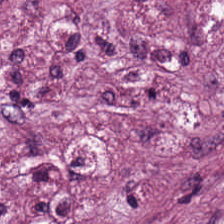H&E-stained tissue section showing tumor stroma.
